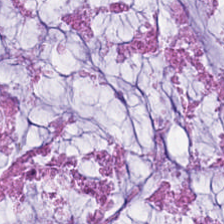H&E — mucin.
